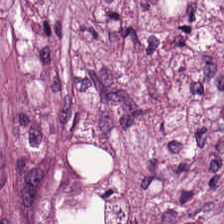H&E stain.
The classification is tumor stroma.
